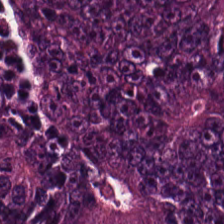Stain: H&E-stained tissue section.
Tissue: colorectal adenocarcinoma.
